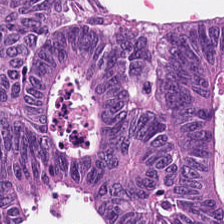20× equivalent magnification. Whole-slide-image patch. H&E-stained tissue section — The tissue here is adenocarcinoma.
